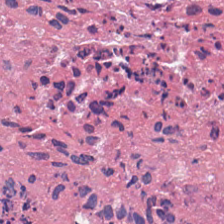H&E · 224×224 pixel tile. Tissue = necrotic debris.
